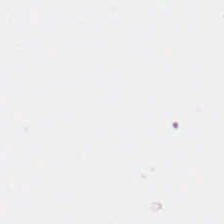Hematoxylin-and-eosin stained section.
Content: empty background.
